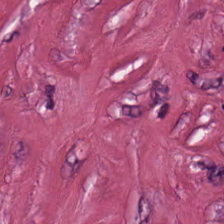FFPE · H&E — Showing desmoplastic stroma.
